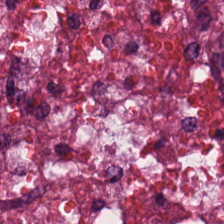Brightfield microscopy. Hematoxylin and eosin.
Showing cellular debris.
